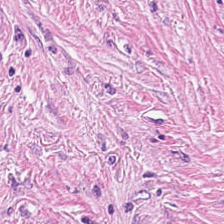FFPE · hematoxylin and eosin — Histology — desmoplastic stroma.
